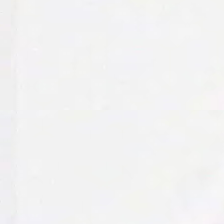Stain: H&E stain.
Tile size: 224×224 px tile.
Preparation: FFPE.
Field content: empty background.
